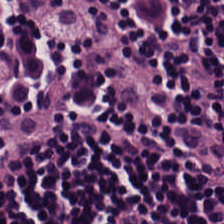H&E; brightfield.
Showing lymphocytic infiltrate.
